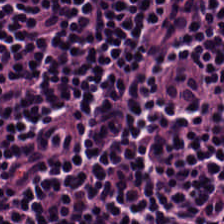Stain: H&E stain.
Tile size: 224×224 px tile.
Tissue type: lymphocyte aggregate.
